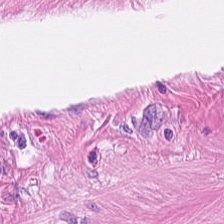Predominant tissue = smooth-muscle tissue.
